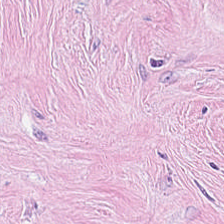H&E · 20× equivalent magnification · 224×224 px patch — The tissue type is desmoplastic stroma.
